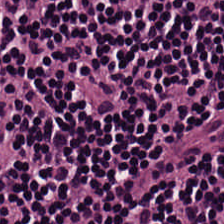H&E — Q: What does this patch show?
A: It is lymphocytic infiltrate.
